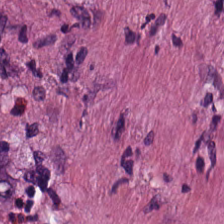Tissue — tumor-associated stroma.
